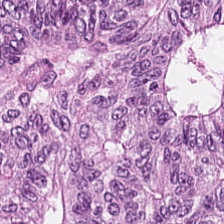Stain: hematoxylin and eosin.
Tile size: 224×224 px patch.
Predominant tissue: colorectal adenocarcinoma.
